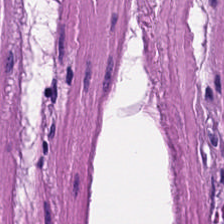Q: What is shown here?
A: Muscularis.
